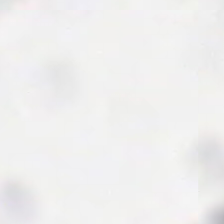WSI patch. H&E stain — {"content": "background (no tissue)"}
